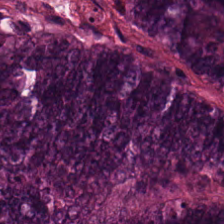FFPE · H&E-stained tissue section · 224×224 px tile.
Finding → colorectal adenocarcinoma.
